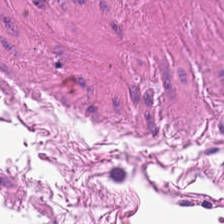Hematoxylin and eosin — Impression → muscularis.
